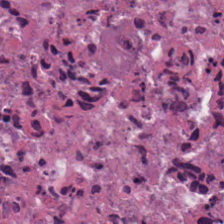Hematoxylin and eosin.
This field is cellular debris.
